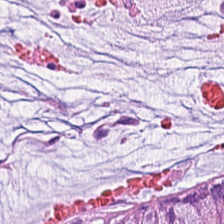Brightfield. FFPE tissue section. H&E stain. Tissue: mucus.
